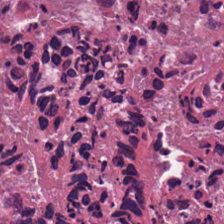224×224 px patch. Hematoxylin-and-eosin stained section — Tissue class — necrotic debris.
